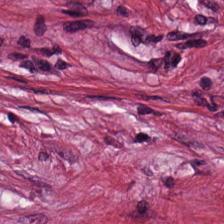The predominant tissue is tumor stroma.
